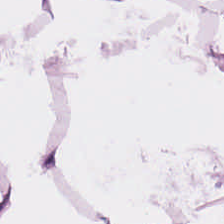Showing fat tissue.
